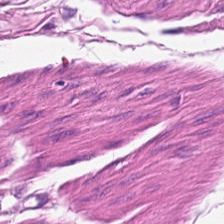H&E-stained tissue section — Predominantly smooth-muscle tissue.
